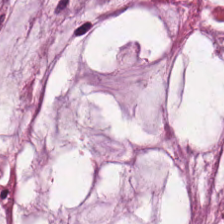WSI patch. H&E-stained tissue section. 0.5 microns per pixel. Mucin.
